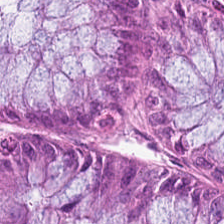Stain: H&E.
Tissue class: non-neoplastic colon mucosa.
